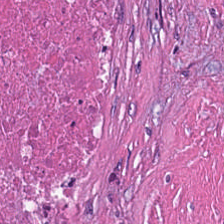0.5 microns per pixel. 224×224 px patch. H&E stain — Q: What is shown in this field?
A: It is cellular debris.
